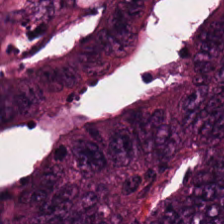Hematoxylin and eosin. The tissue here is colorectal adenocarcinoma.
